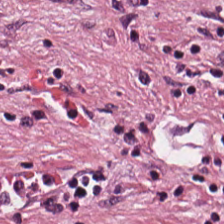Hematoxylin-and-eosin stained section. The tissue class is cancer-associated stroma.
